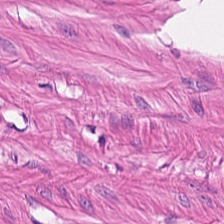{"tissue_type": "smooth muscle"}
